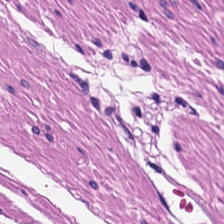H&E stain. Tissue type — smooth-muscle tissue.
